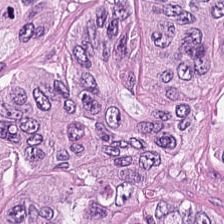H&E. 0.5 microns per pixel.
Impression — malignant epithelium.
